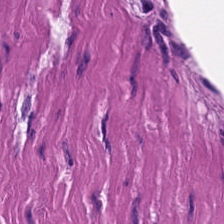Stain: hematoxylin and eosin.
Predominant tissue: smooth-muscle tissue.
